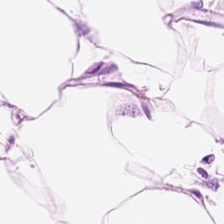H&E stain; brightfield; 0.5 µm per pixel — Finding → adipocytes.
